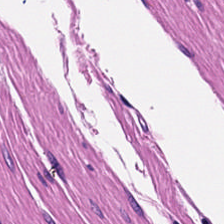H&E-stained tissue section — Histology → smooth muscle.
